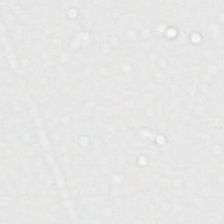Background — no tissue in this field.
